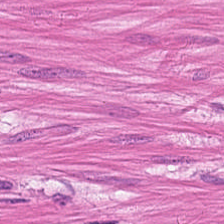Hematoxylin and eosin. Predominantly smooth muscle.
